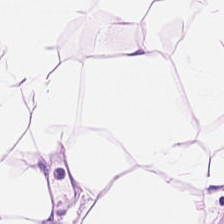Hematoxylin-and-eosin stained section. Predominant tissue: fat tissue.
